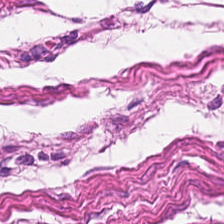Brightfield microscopy · hematoxylin and eosin. Smooth muscle.
